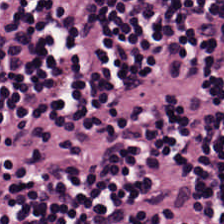H&E; brightfield.
Lymphocyte aggregate.
